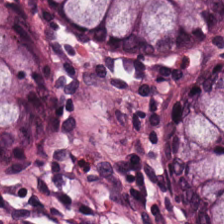H&E stain. This field is normal colon mucosa.
